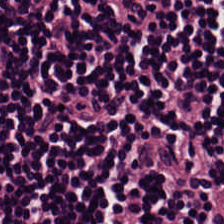H&E. Predominantly lymphocytic infiltrate.
